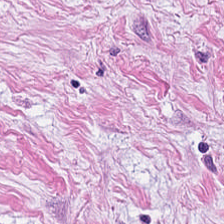H&E-stained tissue section · 0.5 µm/px. This field is cancer-associated stroma.
